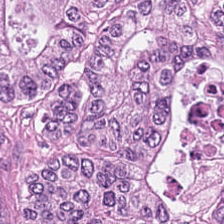H&E; 224×224 px tile — Tissue = colorectal adenocarcinoma epithelium.
